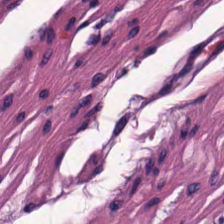Brightfield · H&E · 224×224 px patch — Histology → smooth muscle.
